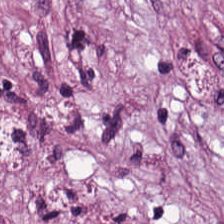Tissue class — tumor stroma.
